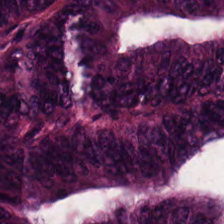H&E stain.
The predominant tissue is malignant epithelium.
